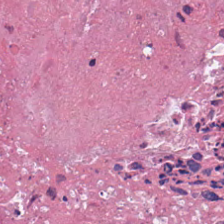224×224 px patch; whole-slide-image patch; H&E.
Tissue: necrotic debris.
